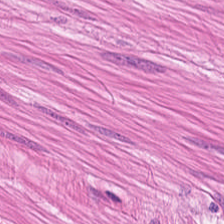H&E. {"tissue_type": "muscularis"}
